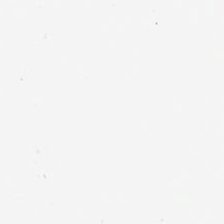H&E; FFPE; WSI patch — Q: Classify this patch.
A: No tissue.
